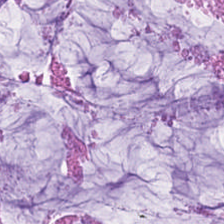H&E stain.
The classification is mucin.
